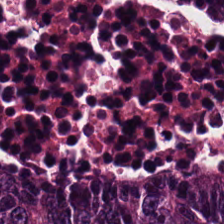Impression → adenocarcinoma.
